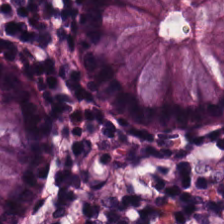Stain: hematoxylin-and-eosin stained section.
Tissue: non-neoplastic colon mucosa.
